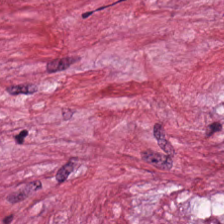Q: Classify this patch.
A: The field shows tumor stroma.
